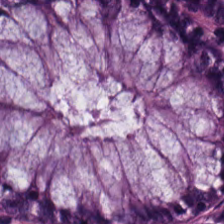Hematoxylin-and-eosin stained section.
Tissue = benign colonic mucosa.
